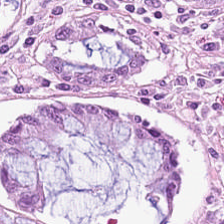Brightfield; H&E; 20× equivalent magnification — This patch shows non-neoplastic colon mucosa.
